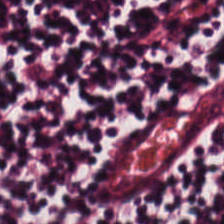Hematoxylin and eosin · brightfield microscopy. The predominant tissue is lymphocyte aggregate.
